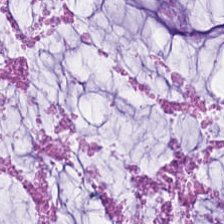H&E-stained section; the field shows mucus.
